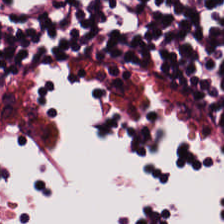0.5 µm/px. Hematoxylin and eosin. FFPE.
Showing lymphoid infiltrate.
